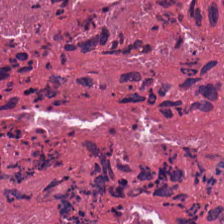Formalin-fixed paraffin-embedded section · H&E-stained tissue section · brightfield — Tissue = necrotic debris.
